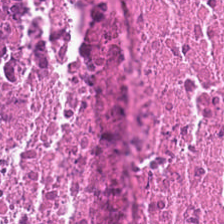H&E.
Q: Identify the tissue.
A: It is cellular debris.
